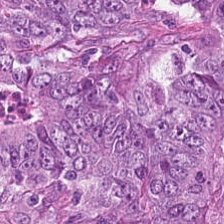FFPE; H&E-stained tissue section.
Predominantly tumor epithelium.
